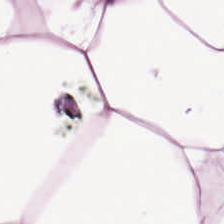H&E stain.
Tissue type — fat tissue.
